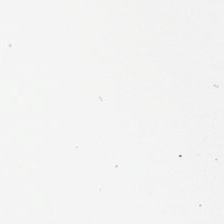H&E-stained tissue section; 224×224 px tile — Classification — empty background.
